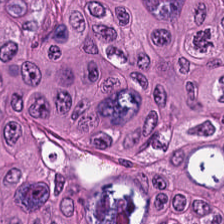224×224 pixel tile · hematoxylin and eosin.
The classification is adenocarcinoma.
